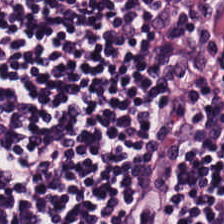Hematoxylin-and-eosin stained section — Q: Identify the tissue.
A: Lymphocytic infiltrate.
